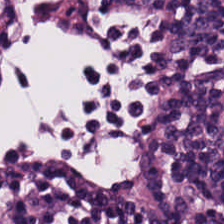H&E — Showing lymphocytes.
